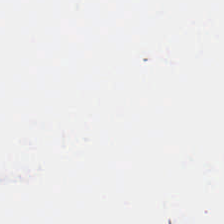Hematoxylin and eosin · 224×224 px tile.
No tissue present; background only.
